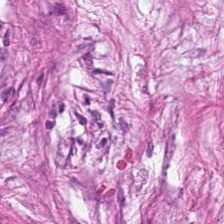{"tissue_type": "cancer-associated stroma"}
